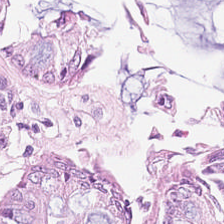Hematoxylin-and-eosin stained section. Showing non-neoplastic colon mucosa.
